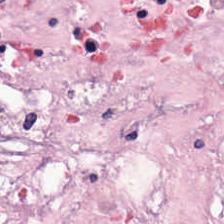H&E stain.
The predominant tissue is cancer-associated stroma.
